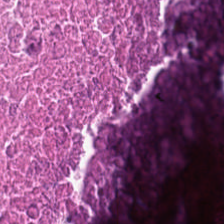Hematoxylin-and-eosin stained section · 0.5 µm/px · brightfield — {"tissue_type": "cellular debris"}
